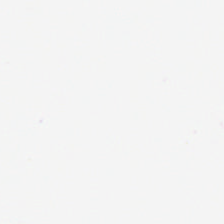H&E-stained tissue section. The classification is background (no tissue).
